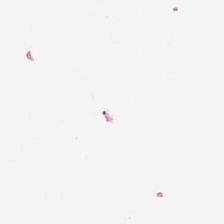Formalin-fixed paraffin-embedded section; hematoxylin and eosin. This patch shows background (no tissue).
